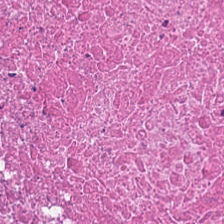Hematoxylin-and-eosin stained section — Tissue class — debris.
